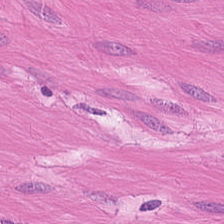H&E stain — This field is smooth-muscle tissue.
